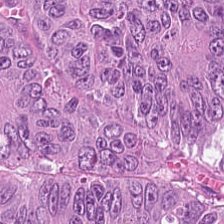FFPE tissue section; 0.5 microns per pixel; hematoxylin-and-eosin stained section. The tissue here is tumor epithelium.
